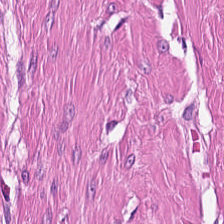Formalin-fixed paraffin-embedded section; 20× equivalent magnification; H&E-stained tissue section.
Predominantly smooth-muscle tissue.
